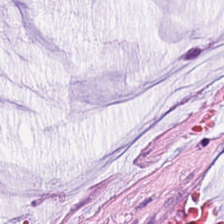Histology → mucin.
